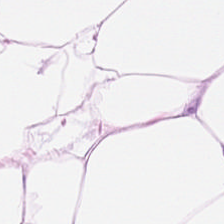H&E-stained tissue section. Impression — adipose.
